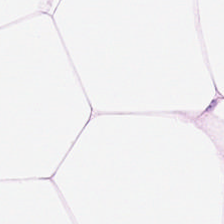20× equivalent magnification; H&E stain — The tissue class is adipose tissue.
